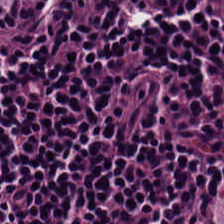H&E stain; FFPE tissue section.
The tissue here is lymphocytic infiltrate.
